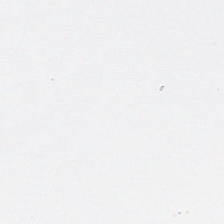0.5 microns per pixel. WSI patch. H&E-stained tissue section — {"content": "background"}
